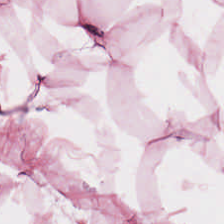Predominantly fat tissue.
